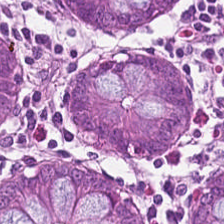H&E stain — Tissue class = benign colonic mucosa.
